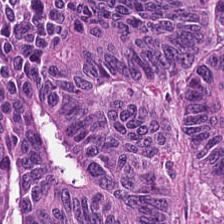Stain: H&E-stained tissue section.
Resolution: 0.5 microns per pixel.
Tissue: colorectal adenocarcinoma.
